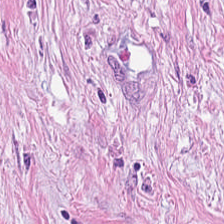This patch shows tumor-associated stroma.
